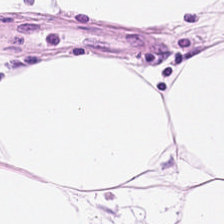20× equivalent magnification · WSI patch · hematoxylin and eosin — Showing adipose tissue.
